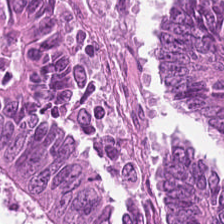Stain: H&E stain.
Tissue type: colorectal adenocarcinoma epithelium.
